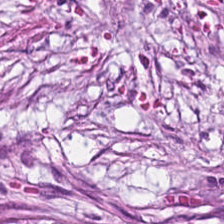Hematoxylin-and-eosin stained section; 0.5 µm per pixel — Tissue type: tumor-associated stroma.
